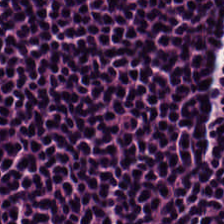224×224 px tile · H&E stain · 0.5 µm/px. Tissue: lymphocyte aggregate.
